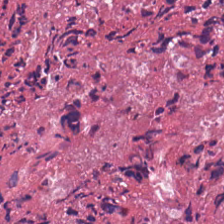H&E-stained tissue section — Showing debris.
